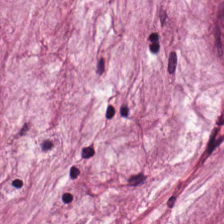H&E. This patch shows mucus.
